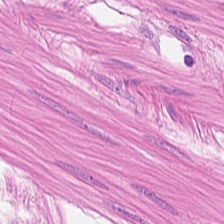Smooth-muscle tissue.
